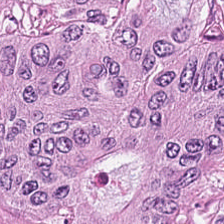H&E stain. FFPE tissue section.
This field is colorectal adenocarcinoma.
